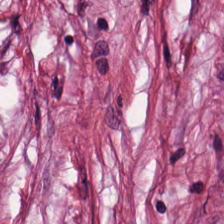H&E-stained tissue section. Finding → cancer-associated stroma.
